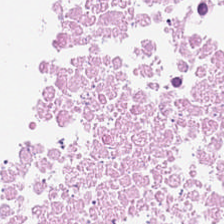Q: What tissue type is shown here?
A: It is cellular debris.
